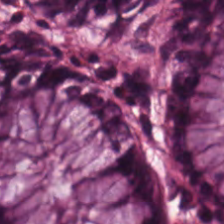FFPE tissue section · H&E · 224×224 pixel tile — Normal colonic mucosa.
